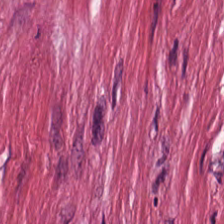Stain: H&E stain.
Tissue type: tumor stroma.
